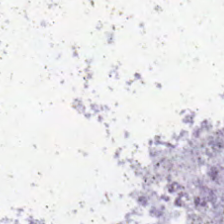WSI patch; hematoxylin-and-eosin stained section.
Q: What is shown in this field?
A: The field shows empty background.
